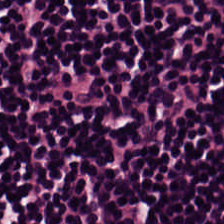H&E-stained section; the field shows lymphocytes.
